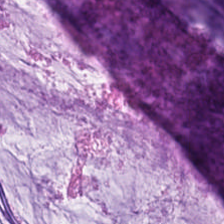Stain: hematoxylin-and-eosin stained section.
Classification: extracellular mucin.
